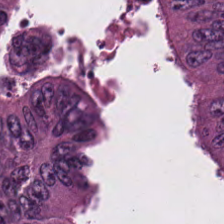Hematoxylin and eosin. The tissue here is tumor epithelium.
